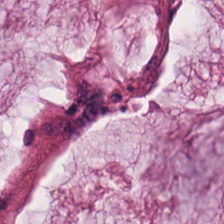H&E patch showing extracellular mucin.
